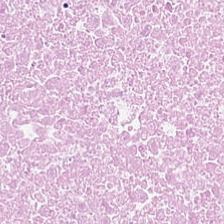FFPE · H&E stain — Q: What is shown here?
A: This is debris.
